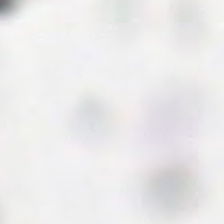This patch shows background (no tissue).
